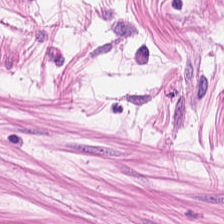H&E stain. 0.5 microns per pixel. Smooth muscle.
